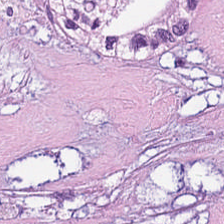Stain: hematoxylin-and-eosin stained section.
Acquisition: brightfield microscopy.
Preparation: FFPE tissue section.
Classification: cellular debris.
